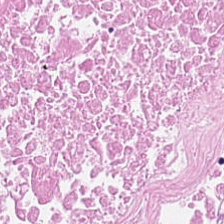H&E. The predominant tissue is cellular debris.
